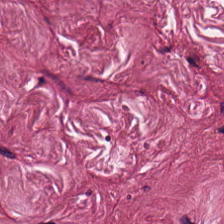FFPE. H&E. 224×224 px patch — Showing tumor stroma.
